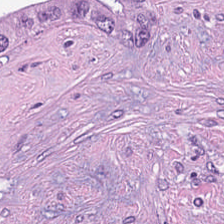Hematoxylin-and-eosin stained section — Finding → debris.
